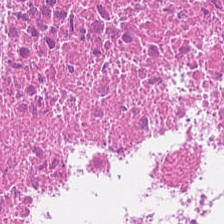H&E stain · 224×224 pixel tile.
Showing necrotic debris.
